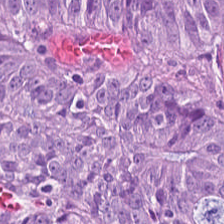224×224 px patch. H&E stain. The predominant tissue is tumor epithelium.
